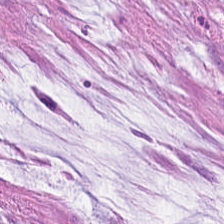Tissue type: extracellular mucin.
